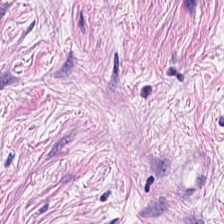Hematoxylin and eosin — Q: What tissue is shown?
A: This is cancer-associated stroma.
